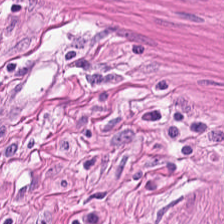FFPE tissue section · hematoxylin-and-eosin stained section.
This patch shows smooth-muscle tissue.
